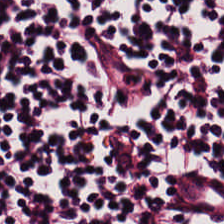H&E stain — Finding — lymphoid infiltrate.
